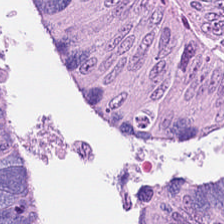H&E-stained tissue section. WSI patch. Q: What is the predominant tissue type?
A: It is adenocarcinoma.
